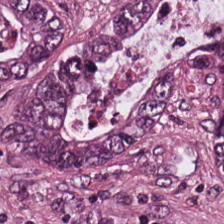Brightfield · 0.5 µm per pixel · H&E-stained tissue section. The tissue here is adenocarcinoma.
